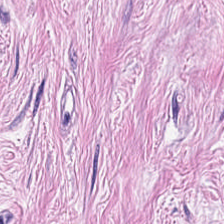Hematoxylin and eosin · whole-slide-image patch. Impression → cancer-associated stroma.
